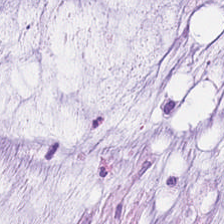Impression — mucus.
